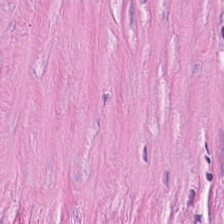224×224 px tile · H&E stain — This field is cancer-associated stroma.
